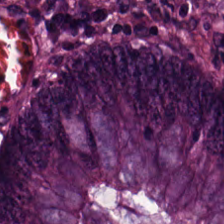Formalin-fixed paraffin-embedded section; hematoxylin-and-eosin stained section. The predominant tissue is colorectal adenocarcinoma epithelium.
